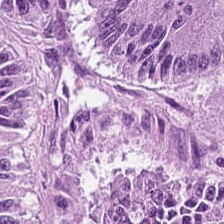H&E stain; 224×224 pixel tile. Tissue = colorectal adenocarcinoma epithelium.
